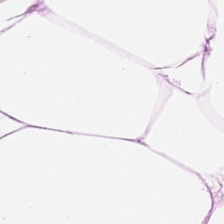Q: Identify the tissue.
A: Adipocytes.
